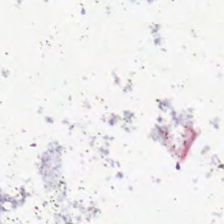Empty field — no tissue.
